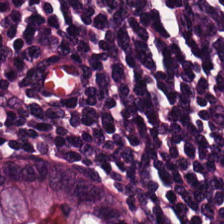Hematoxylin-and-eosin stained section — Predominant tissue = lymphocytic infiltrate.
